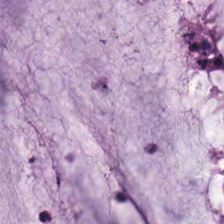FFPE tissue section · brightfield microscopy · hematoxylin-and-eosin stained section.
Extracellular mucin.
